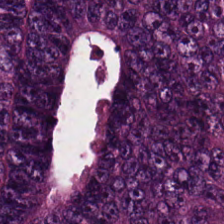Formalin-fixed paraffin-embedded section. H&E. 0.5 microns per pixel.
Tissue type = adenocarcinoma.
